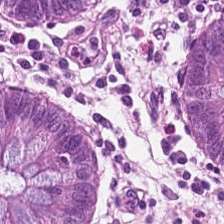Finding — non-neoplastic colon mucosa.
